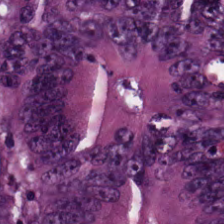This patch shows tumor epithelium.
